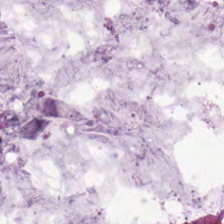Stain: hematoxylin and eosin.
Tissue type: mucus.
